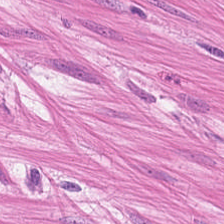Hematoxylin-and-eosin stained section — Q: Classify this patch.
A: It is smooth-muscle tissue.
